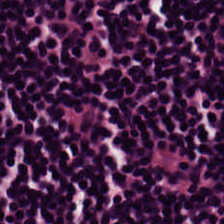H&E — This patch shows lymphoid infiltrate.
